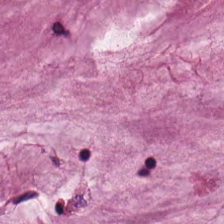H&E stain. Histology → mucus.
